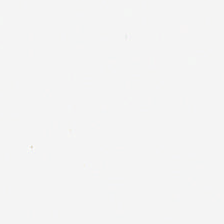H&E-stained tissue section — Finding — background (no tissue).
